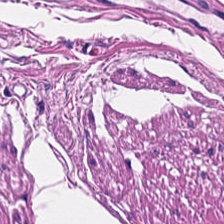Stain: H&E-stained tissue section.
Acquisition: brightfield microscopy.
Tissue type: muscularis.
